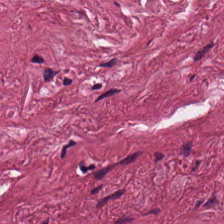{"tissue_type": "tumor-associated stroma"}
